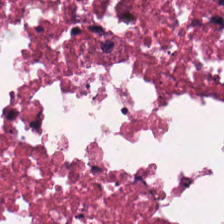224×224 px patch. Hematoxylin and eosin — Predominantly necrotic debris.
